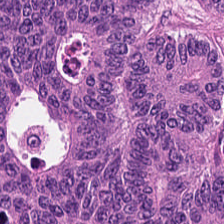Showing colorectal adenocarcinoma.
